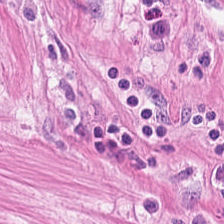H&E stain.
Finding → smooth muscle.
